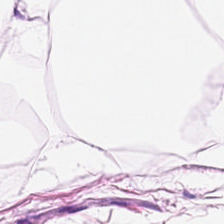Stain: hematoxylin and eosin.
Resolution: 0.5 microns per pixel.
Acquisition: whole-slide-image patch.
Classification: adipose.
